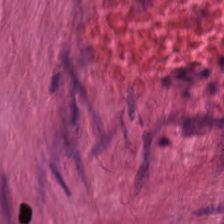Hematoxylin and eosin. This patch shows muscularis.
